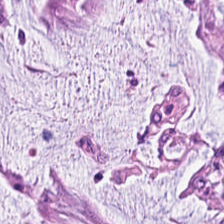0.5 µm/px · H&E.
Tissue — extracellular mucin.
